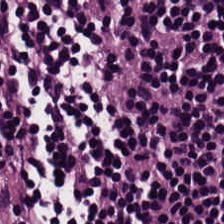FFPE · 224×224 px patch · H&E.
Histology — lymphocytic infiltrate.
